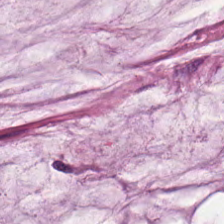Stain: H&E.
Tissue: mucin.
